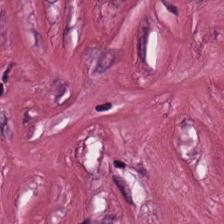Hematoxylin-and-eosin stained section. This patch shows desmoplastic stroma.
